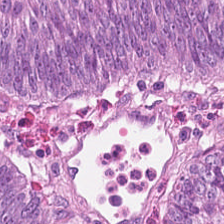H&E — The predominant tissue is malignant epithelium.
